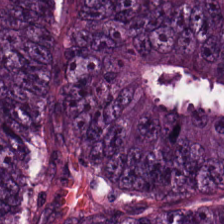H&E.
Tissue class: malignant epithelium.
